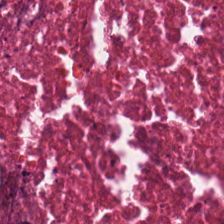Hematoxylin-and-eosin stained section. 0.5 microns per pixel. FFPE tissue section — Q: What type of tissue is this?
A: The field shows necrotic debris.
